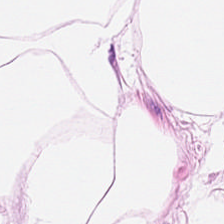H&E stain; FFPE tissue section.
{"tissue_type": "adipocytes"}
